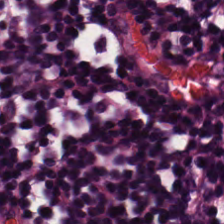Stain: H&E.
Tissue class: lymphoid infiltrate.
